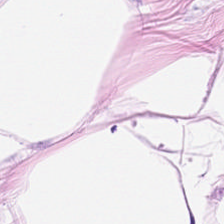Q: What does this patch show?
A: It is adipose tissue.
